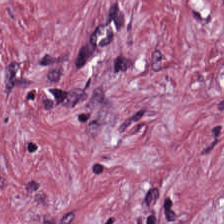Tissue — tumor-associated stroma.
